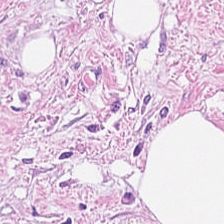Stain: H&E.
Tissue class: tumor-associated stroma.
